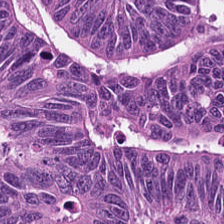Stain: H&E.
Tissue type: colorectal adenocarcinoma.
